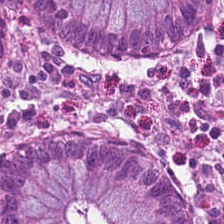H&E — Classification = normal colon mucosa.
